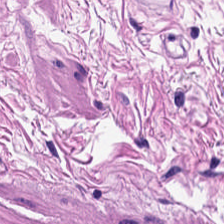H&E-stained tissue section · whole-slide-image patch. Histology — smooth-muscle tissue.
